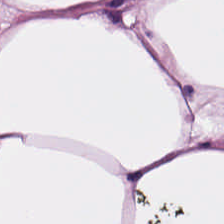H&E stain — {"tissue_type": "adipocytes"}
